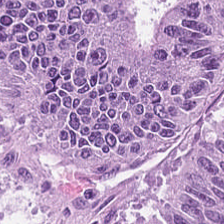0.5 µm/px · H&E.
The predominant tissue is tumor epithelium.
